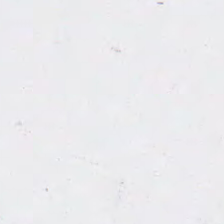H&E-stained tissue section.
Content: empty background.
